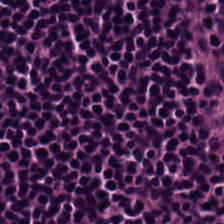H&E · FFPE tissue section — Impression — lymphocytes.
